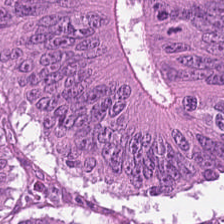Hematoxylin-and-eosin stained section · brightfield — Tissue: adenocarcinoma.
